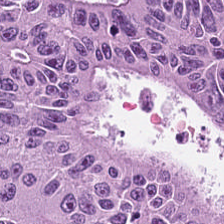H&E stain. Q: What tissue is shown?
A: This is colorectal adenocarcinoma epithelium.
